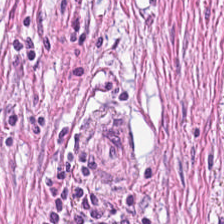Hematoxylin and eosin.
Predominantly tumor stroma.
